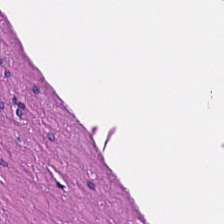224×224 pixel tile · hematoxylin and eosin. Smooth-muscle tissue.
